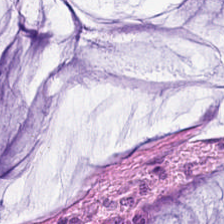H&E stain. Q: What tissue is shown?
A: It is mucus.
